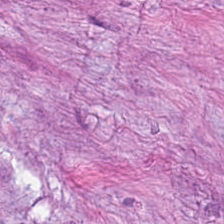Histology → tumor-associated stroma.
